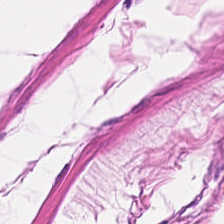Whole-slide-image patch · hematoxylin and eosin · 0.5 microns per pixel. The tissue type is smooth muscle.
